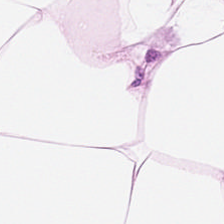H&E-stained tissue section.
The predominant tissue is adipose tissue.
